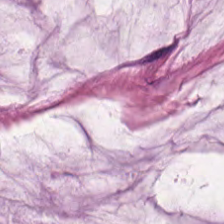H&E. Q: What tissue is shown?
A: The field shows mucus.
